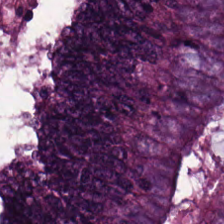Predominant tissue — adenocarcinoma.
